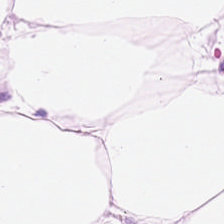20× equivalent magnification. 224×224 px patch. H&E. Adipocytes.
